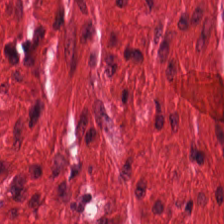Hematoxylin and eosin. This patch shows muscularis.
